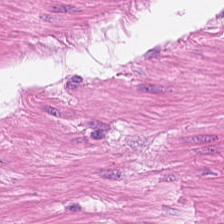Hematoxylin-and-eosin stained section.
The tissue class is smooth-muscle tissue.
